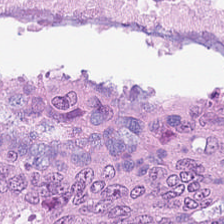H&E stain — Histology — tumor epithelium.
